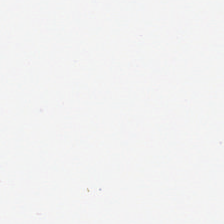The content is background (no tissue).
